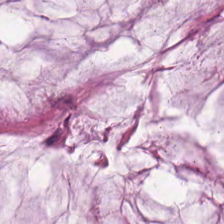H&E stain; 0.5 µm/px. Impression — mucin.
